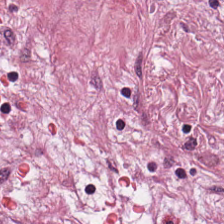Stain: hematoxylin-and-eosin stained section.
Tissue: desmoplastic stroma.
